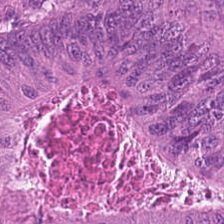WSI patch. H&E — Tissue type = malignant epithelium.
